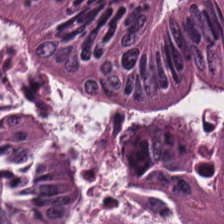Hematoxylin and eosin · FFPE — Classification — adenocarcinoma.
